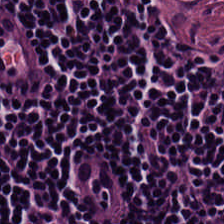224×224 px tile; H&E-stained tissue section.
Q: What is shown in this field?
A: It is lymphocytic infiltrate.
